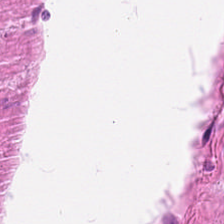H&E-stained tissue section — The tissue here is smooth muscle.
